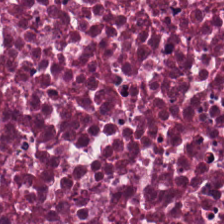Hematoxylin and eosin.
Tissue class: necrotic debris.
